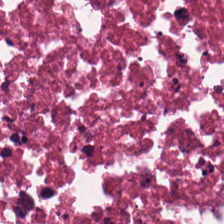H&E — {"tissue_type": "debris"}
